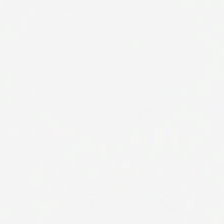Hematoxylin-and-eosin stained section. Background.
